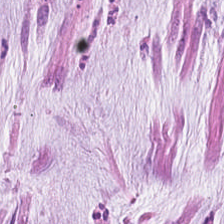H&E-stained tissue section. Showing extracellular mucin.
